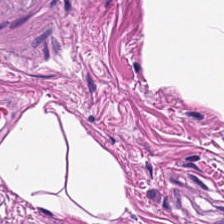Stain: hematoxylin-and-eosin stained section.
Classification: smooth-muscle tissue.
